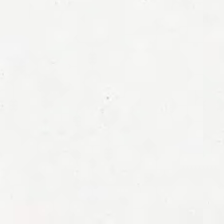H&E.
Q: What does this patch show?
A: This is no tissue.
